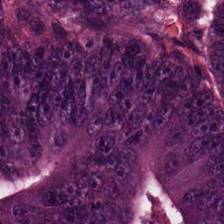Hematoxylin and eosin — Tissue type: tumor epithelium.
